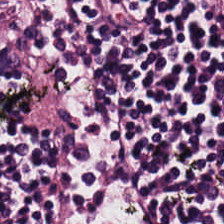Hematoxylin and eosin. 224×224 pixel tile.
Tissue type = lymphocyte aggregate.
